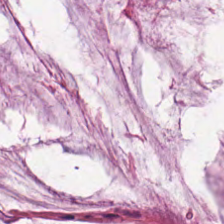Stain: H&E-stained tissue section.
Tissue: mucus.
